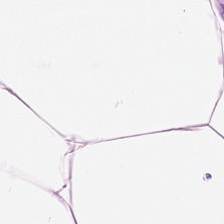H&E · 224×224 px tile · FFPE tissue section — Tissue type — adipocytes.
